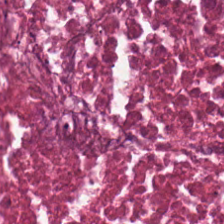Stain: hematoxylin and eosin.
Classification: cellular debris.
